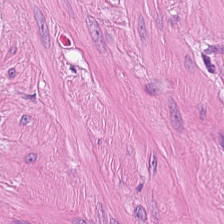Hematoxylin-and-eosin stained section. 224×224 px tile. 0.5 µm per pixel.
Tissue class: muscularis.
